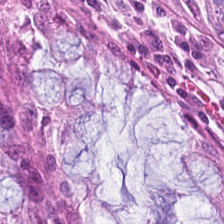Hematoxylin and eosin; 0.5 µm per pixel; 224×224 pixel tile — {"tissue_type": "non-neoplastic colon mucosa"}
